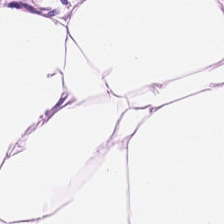H&E-stained tissue section; 20× equivalent magnification; 224×224 pixel tile. This field is fat tissue.
